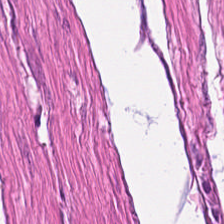H&E — Q: What is shown here?
A: Muscularis.
